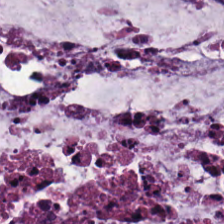Q: What is shown in this field?
A: Extracellular mucin.
